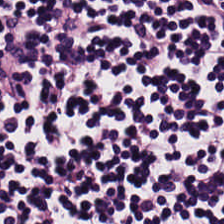Hematoxylin and eosin — Predominantly lymphoid infiltrate.
